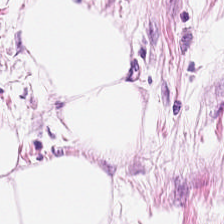H&E. The tissue is adipocytes.
